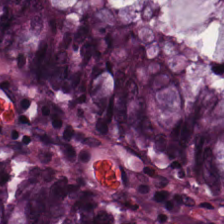H&E-stained tissue section · whole-slide-image patch · 20× equivalent magnification. Histology → normal colon mucosa.
